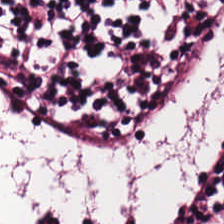H&E. This field is lymphocyte aggregate.
